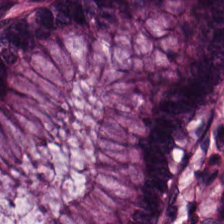Hematoxylin-and-eosin stained section — {"tissue_type": "normal colon mucosa"}
